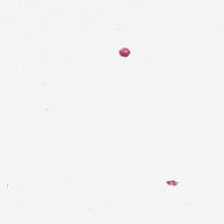224×224 px tile · H&E-stained tissue section · FFPE — Q: What is shown here?
A: Empty background.
